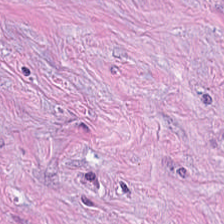This patch shows cancer-associated stroma.
